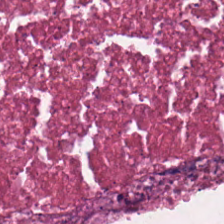H&E-stained tissue section. Histology — necrotic debris.
